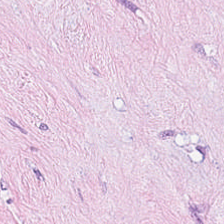H&E stain.
This field is cancer-associated stroma.
